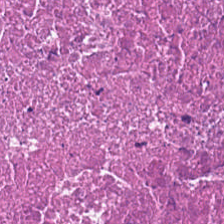H&E-stained tissue section.
Classification — necrotic debris.
